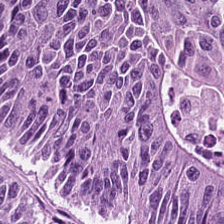FFPE · H&E. The predominant tissue is colorectal adenocarcinoma.
